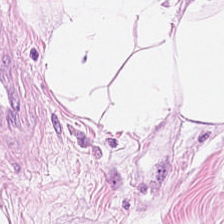Hematoxylin and eosin.
The tissue is fat tissue.
